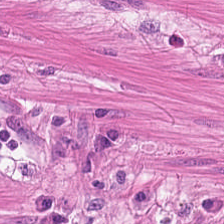Q: What is the predominant tissue type?
A: The field shows smooth-muscle tissue.
